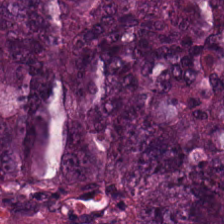H&E stain. This patch shows colorectal adenocarcinoma.
